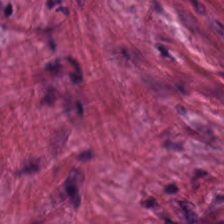0.5 microns per pixel. Hematoxylin and eosin.
Finding → tumor stroma.
